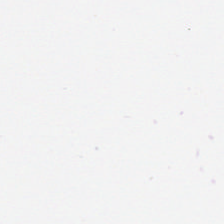H&E. Whole-slide-image patch.
Finding — background.
